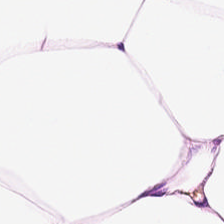H&E stain — The tissue is fat tissue.
